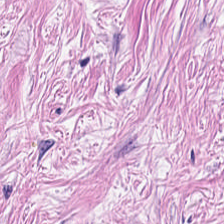H&E-stained tissue section. Predominant tissue — desmoplastic stroma.
